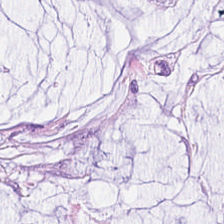H&E stain. Finding → extracellular mucin.
